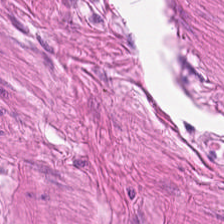H&E-stained tissue section.
Predominant tissue = muscularis.
